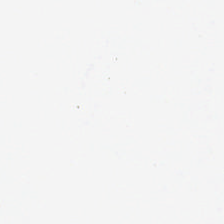H&E stain.
No tissue present; background only.
